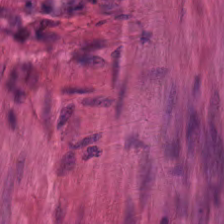H&E. Finding → muscularis.
